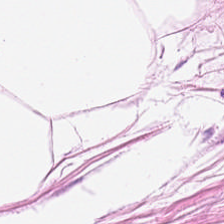Stain: H&E-stained tissue section.
Classification: adipose tissue.
